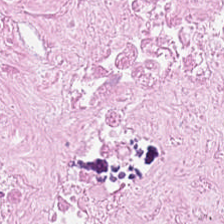H&E stain — The predominant tissue is necrotic debris.
